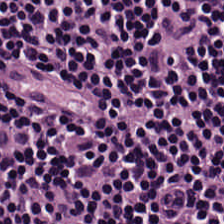H&E stain. Showing lymphocytic infiltrate.
